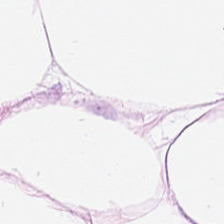Hematoxylin-and-eosin stained section. Q: Classify this patch.
A: The field shows adipose.
